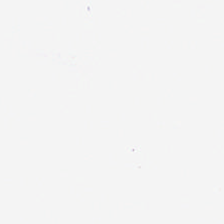Hematoxylin-and-eosin stained section — Field content — no tissue.
